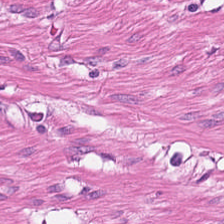Stain: H&E stain.
Tile size: 224×224 px tile.
Resolution: 0.5 microns per pixel.
Tissue type: muscularis.
